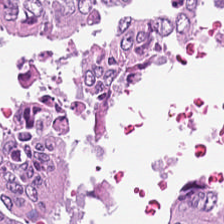Stain: H&E.
Tissue type: adenocarcinoma.
